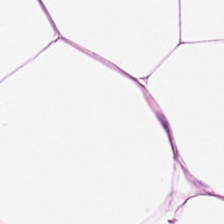Stain: hematoxylin and eosin.
Resolution: 20× equivalent magnification.
Tile size: 224×224 px tile.
Tissue: fat tissue.
